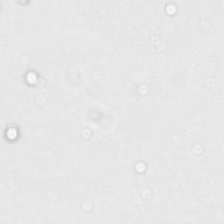Hematoxylin and eosin; FFPE; 224×224 px tile — No tissue present; background only.
